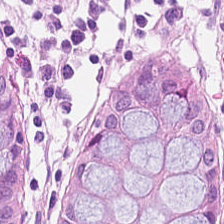Tissue — benign colonic mucosa.
